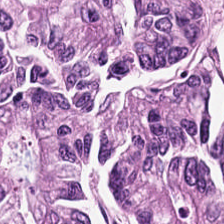Hematoxylin-and-eosin stained section. {"tissue_type": "tumor epithelium"}
